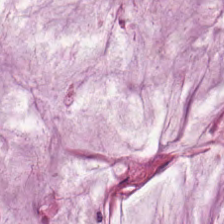Hematoxylin-and-eosin stained section. Tissue = mucus.
